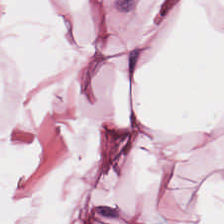Tissue class: adipose tissue.
